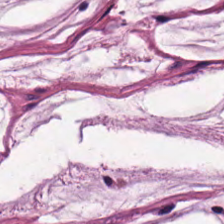224×224 px patch · FFPE · H&E — Finding → extracellular mucin.
